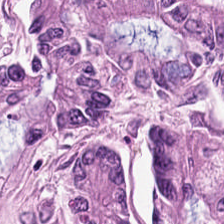H&E · FFPE tissue section.
Q: What tissue is shown?
A: The field shows colorectal adenocarcinoma.
